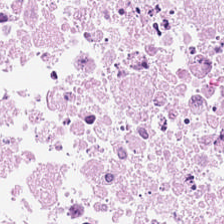H&E stain. Necrotic debris.
